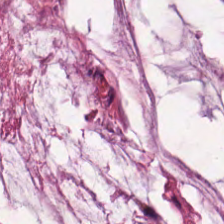Hematoxylin and eosin.
Tissue type: extracellular mucin.
